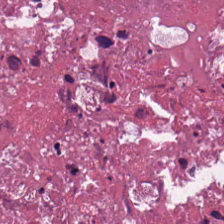224×224 px patch. H&E stain. Brightfield microscopy. Q: What type of tissue is this?
A: This is debris.
